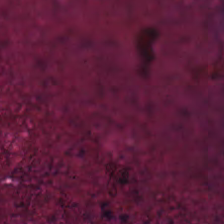H&E-stained tissue section; brightfield microscopy — Q: What is the predominant tissue type?
A: The field shows debris.
